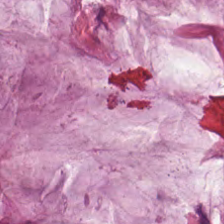Hematoxylin and eosin. 20× equivalent magnification. Whole-slide-image patch — Tissue class: mucus.
